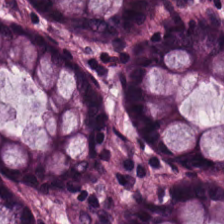H&E-stained section; the field shows benign colonic mucosa.
